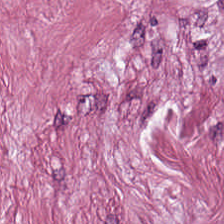0.5 microns per pixel · H&E stain — Predominantly tumor-associated stroma.
